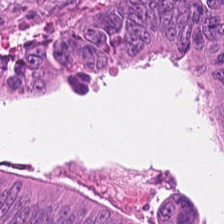H&E patch showing adenocarcinoma.
